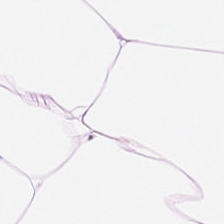H&E. This field is adipose tissue.
